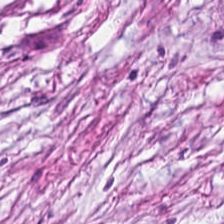Hematoxylin-and-eosin stained section — This field is cancer-associated stroma.
